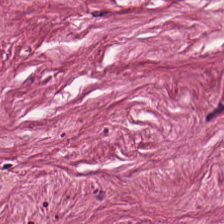Stain: hematoxylin and eosin.
Tile size: 224×224 px patch.
Acquisition: brightfield microscopy.
Tissue: tumor-associated stroma.
